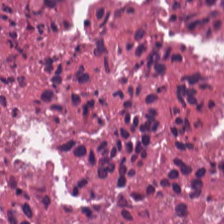Formalin-fixed paraffin-embedded section. H&E stain.
The tissue here is cellular debris.
